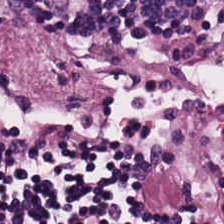Q: Identify the tissue.
A: Lymphocytes.
